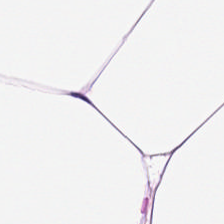Q: What is the predominant tissue type?
A: It is adipose.
